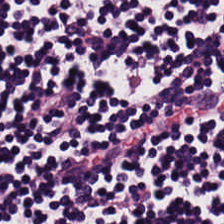Hematoxylin and eosin · formalin-fixed paraffin-embedded section · 224×224 px tile. The tissue here is lymphoid infiltrate.
